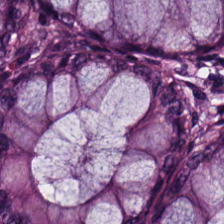H&E — Predominantly normal colon mucosa.
